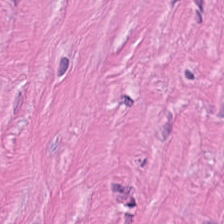Q: What tissue type is shown here?
A: Cancer-associated stroma.
